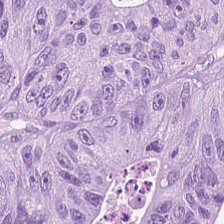Stain: H&E.
Acquisition: brightfield microscopy.
Predominant tissue: malignant epithelium.
